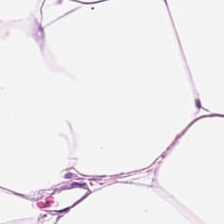The predominant tissue is adipose.
